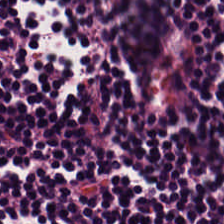H&E — Lymphocyte aggregate.
